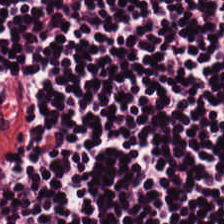H&E stain. The predominant tissue is lymphocytic infiltrate.
